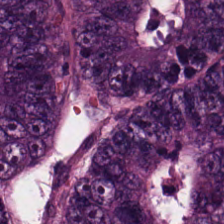H&E-stained tissue section · whole-slide-image patch · 0.5 µm per pixel — Q: Identify the tissue.
A: The field shows tumor epithelium.
